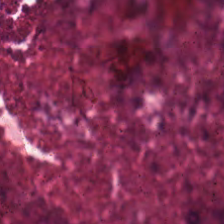Histology → debris.
